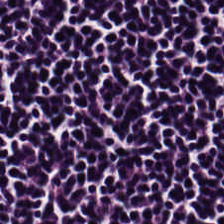H&E stain. Showing lymphocytes.
